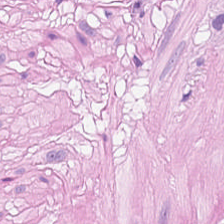Q: What tissue is shown?
A: It is muscularis.
